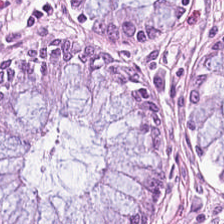Stain: hematoxylin and eosin.
Tissue type: non-neoplastic colon mucosa.
